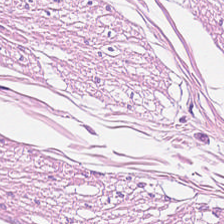Hematoxylin and eosin; brightfield microscopy — Tissue type — smooth muscle.
